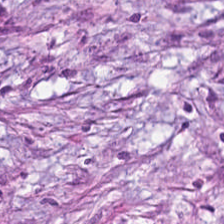Hematoxylin-and-eosin stained section.
Predominant tissue — tumor-associated stroma.
